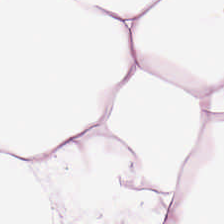Hematoxylin-and-eosin stained section — {"tissue_type": "adipose"}
